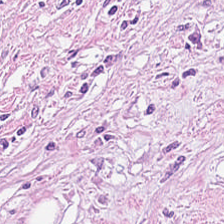H&E-stained tissue section — The tissue type is cancer-associated stroma.
